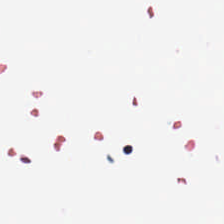Hematoxylin and eosin. Content = background.
